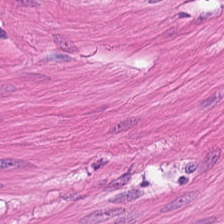0.5 µm/px; H&E stain; FFPE. Histology — muscularis.
